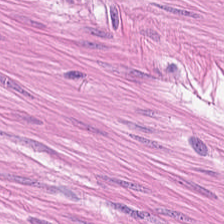0.5 µm/px. H&E.
{"tissue_type": "smooth-muscle tissue"}
